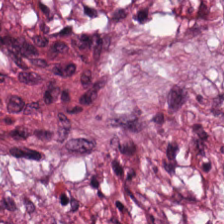FFPE tissue section · H&E stain. The predominant tissue is cancer-associated stroma.
